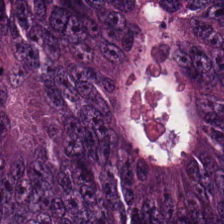Stain: hematoxylin-and-eosin stained section.
Tile size: 224×224 pixel tile.
Tissue: tumor epithelium.
